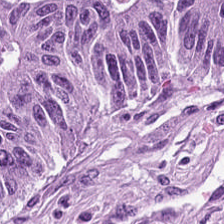H&E-stained tissue section — Finding — adenocarcinoma.
